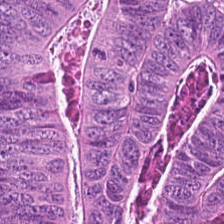H&E — Predominantly adenocarcinoma.
